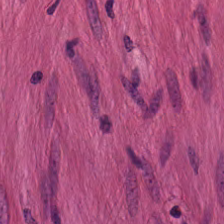Formalin-fixed paraffin-embedded section. H&E stain. Showing smooth-muscle tissue.
